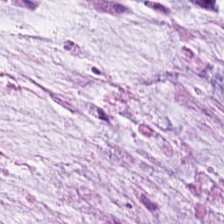224×224 pixel tile. Hematoxylin-and-eosin stained section — This patch shows mucus.
